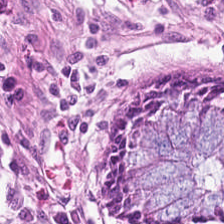H&E-stained section; the field shows normal colon mucosa.
